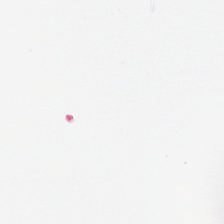Q: Classify this patch.
A: Background.
